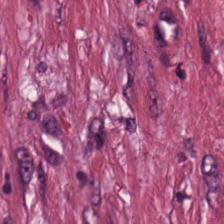Classification = desmoplastic stroma.
